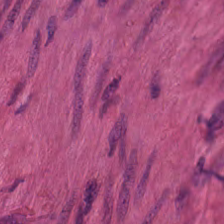H&E — The predominant tissue is smooth muscle.
